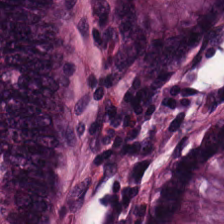0.5 µm per pixel; H&E stain; 224×224 px patch. Normal colonic mucosa.
